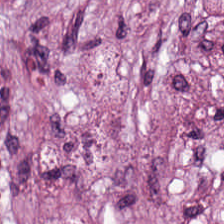H&E stain.
{"tissue_type": "tumor-associated stroma"}
